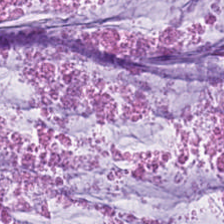Hematoxylin and eosin.
Tissue type: mucus.
